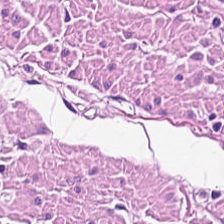0.5 microns per pixel; H&E stain — The classification is smooth-muscle tissue.
